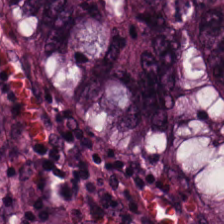{"tissue_type": "colorectal adenocarcinoma epithelium"}
